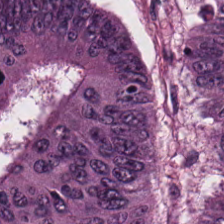Stain: H&E-stained tissue section.
Tile size: 224×224 px patch.
Preparation: FFPE tissue section.
Tissue class: adenocarcinoma.
